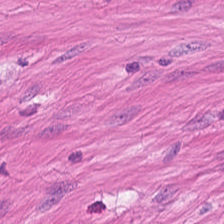Whole-slide-image patch. H&E-stained tissue section. Q: Classify this patch.
A: Smooth-muscle tissue.
